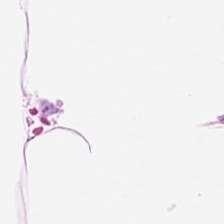Tissue class — adipocytes.
